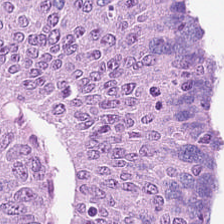Tissue type — tumor epithelium.
